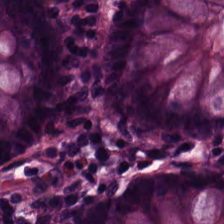0.5 µm per pixel; H&E-stained tissue section; 224×224 pixel tile — Histology → normal colonic mucosa.
